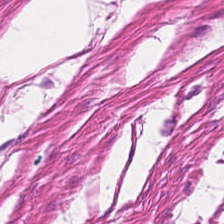H&E-stained tissue section. Brightfield — The tissue class is muscularis.
